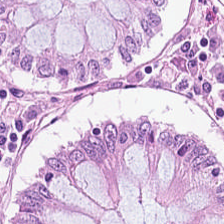The predominant tissue is benign colonic mucosa.
